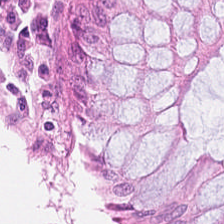H&E-stained tissue section · 224×224 px patch.
The predominant tissue is non-neoplastic colon mucosa.
